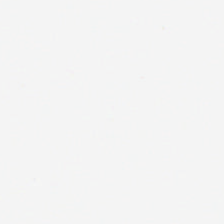This field is background (no tissue).
